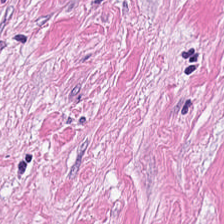H&E stain.
Showing cancer-associated stroma.
